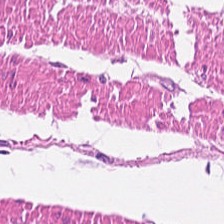H&E — smooth muscle.
